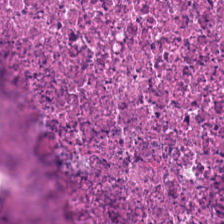This patch shows cellular debris.
